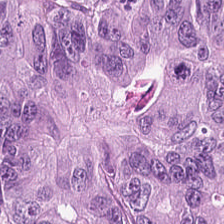H&E — Q: What is shown here?
A: It is colorectal adenocarcinoma epithelium.
